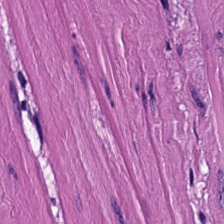H&E stain. Q: What type of tissue is this?
A: The field shows muscularis.
